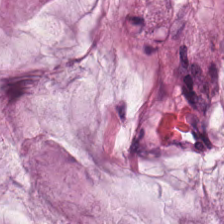Tissue type = extracellular mucin.
